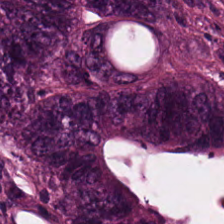Hematoxylin and eosin. This field is adenocarcinoma.
